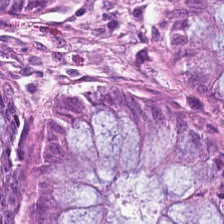Hematoxylin-and-eosin stained section · 0.5 microns per pixel. Q: Identify the tissue.
A: It is benign colonic mucosa.
